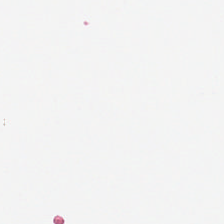H&E; 224×224 px tile; FFPE. Q: What is shown here?
A: The field shows empty background.
